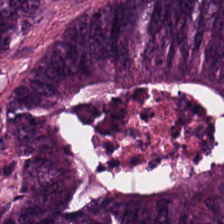224×224 px tile · hematoxylin-and-eosin stained section.
Predominantly adenocarcinoma.
